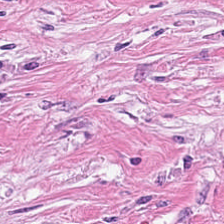H&E. Desmoplastic stroma.
